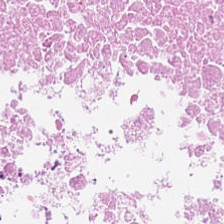H&E-stained tissue section · whole-slide-image patch. Cellular debris.
